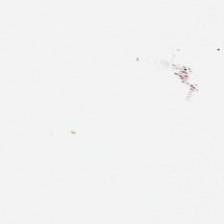Stain: H&E-stained tissue section.
Field content: no tissue.
